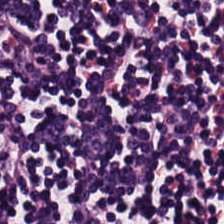H&E stain; 224×224 px tile. The predominant tissue is lymphocytic infiltrate.
